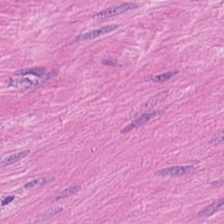H&E.
This patch shows smooth-muscle tissue.
